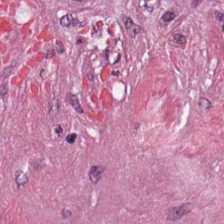H&E-stained tissue section. Whole-slide-image patch.
Q: What tissue type is shown here?
A: Tumor-associated stroma.
